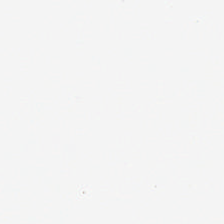Brightfield microscopy. Hematoxylin-and-eosin stained section. Q: What is shown here?
A: This is empty background.
